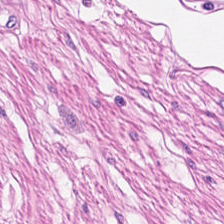H&E-stained tissue section — Q: What type of tissue is this?
A: It is smooth-muscle tissue.
